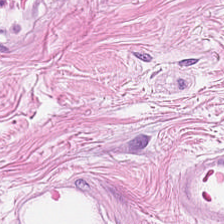Predominantly smooth-muscle tissue.
